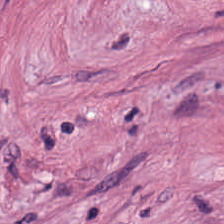Impression → tumor stroma.
